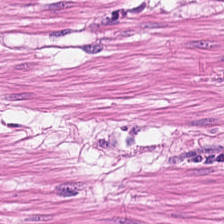H&E-stained tissue section. Q: What is the predominant tissue type?
A: Muscularis.
